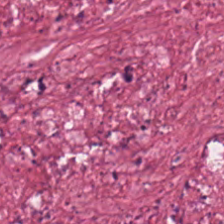0.5 microns per pixel; H&E-stained tissue section.
Finding — desmoplastic stroma.
